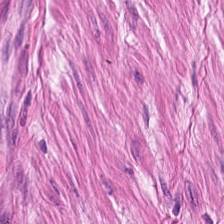Formalin-fixed paraffin-embedded section; H&E; 0.5 microns per pixel.
Classification — smooth muscle.
